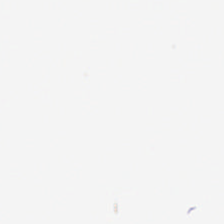Content: background.
